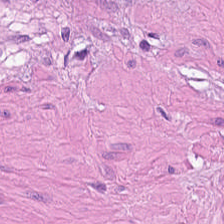Stain: H&E stain.
Acquisition: whole-slide-image patch.
Predominant tissue: smooth muscle.
